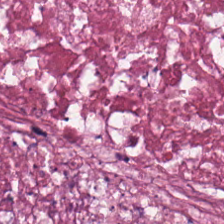0.5 µm per pixel. FFPE tissue section. Hematoxylin-and-eosin stained section.
This patch shows cellular debris.
